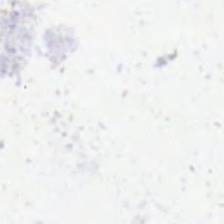H&E-stained tissue section — Field content: background.
